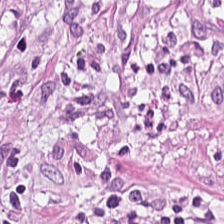224×224 px patch. H&E. Histology → tumor-associated stroma.
